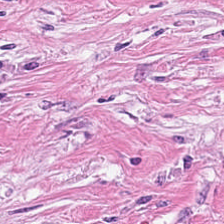Hematoxylin and eosin; 20× equivalent magnification — Q: Identify the tissue.
A: Tumor-associated stroma.
